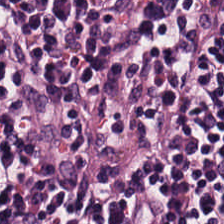Stain: hematoxylin and eosin.
Classification: lymphocytic infiltrate.
